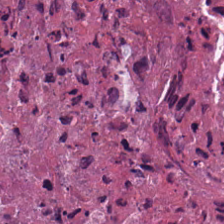224×224 px patch · H&E-stained tissue section.
Predominantly cellular debris.
